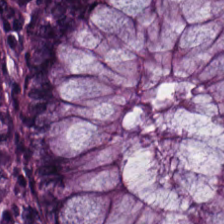H&E stain; 0.5 microns per pixel. Q: What tissue type is shown here?
A: Normal colonic mucosa.
